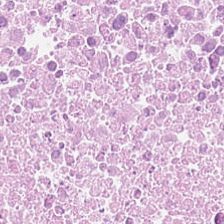The tissue class is necrotic debris.
